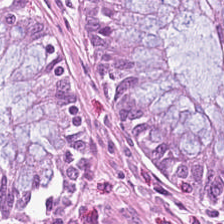Hematoxylin-and-eosin stained section. 0.5 µm per pixel. Tissue — normal colonic mucosa.
